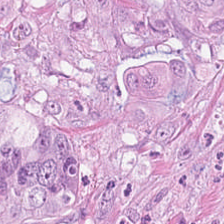H&E — colorectal adenocarcinoma epithelium.
